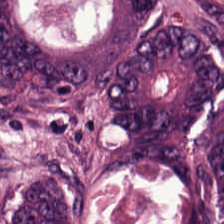Q: Classify this patch.
A: Colorectal adenocarcinoma.
